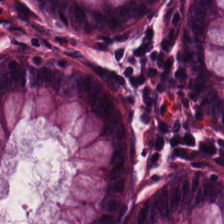Stain: H&E-stained tissue section.
Tile size: 224×224 px patch.
Tissue: normal colon mucosa.
